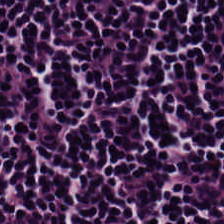H&E.
The tissue is lymphocyte aggregate.
